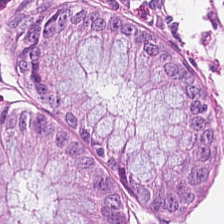H&E-stained tissue section — This field is normal colonic mucosa.
